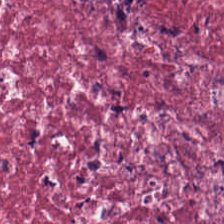H&E stain — The predominant tissue is tumor-associated stroma.
